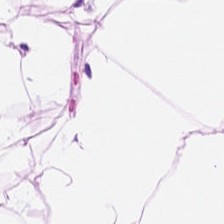20× equivalent magnification. Whole-slide-image patch. H&E-stained tissue section — This patch shows adipocytes.
